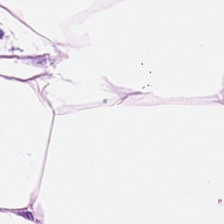Hematoxylin-and-eosin stained section. Q: Classify this patch.
A: This is adipose.
